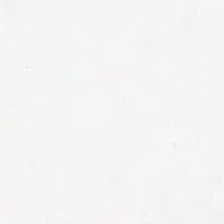H&E; formalin-fixed paraffin-embedded section; 224×224 pixel tile.
This patch shows background.
